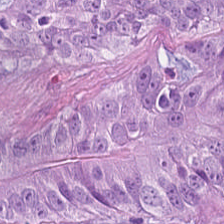224×224 px patch; hematoxylin and eosin — Showing malignant epithelium.
